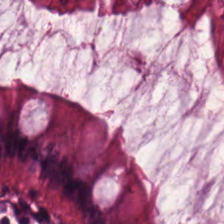Hematoxylin-and-eosin stained section · FFPE tissue section — Q: What is the predominant tissue type?
A: This is normal colon mucosa.
